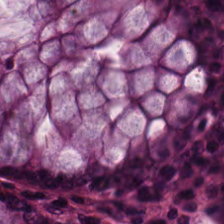224×224 px tile. H&E-stained tissue section. FFPE tissue section — Predominant tissue = normal colon mucosa.
